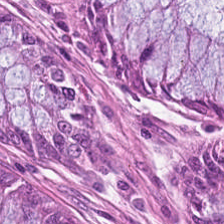Brightfield; hematoxylin and eosin. The predominant tissue is non-neoplastic colon mucosa.
